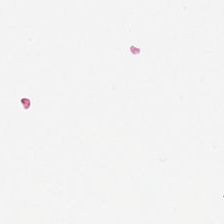FFPE tissue section; hematoxylin-and-eosin stained section. Field content = empty background.
